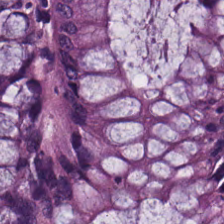Stain: H&E.
Tissue class: normal colonic mucosa.
